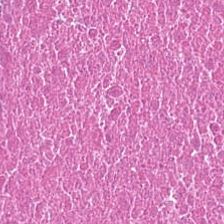H&E-stained tissue section.
This field is necrotic debris.
